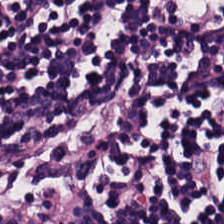224×224 pixel tile; 0.5 µm per pixel; hematoxylin-and-eosin stained section — Showing lymphocytes.
